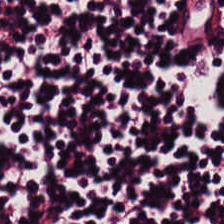Hematoxylin-and-eosin stained section — {"tissue_type": "lymphocytes"}
